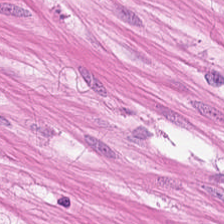Hematoxylin-and-eosin stained section. This patch shows smooth muscle.
